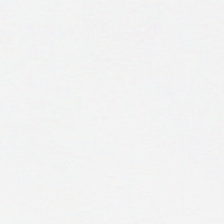224×224 px tile; H&E stain. Empty field — empty background.
